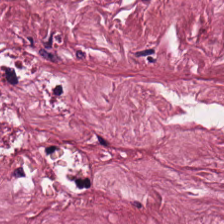Hematoxylin-and-eosin stained section.
Tissue class: tumor-associated stroma.
